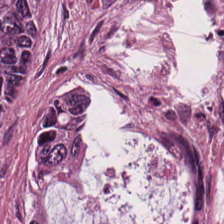Hematoxylin-and-eosin stained section; 0.5 microns per pixel.
Predominantly tumor epithelium.
